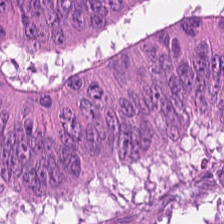0.5 microns per pixel. Hematoxylin and eosin. Whole-slide-image patch.
Finding → colorectal adenocarcinoma.
